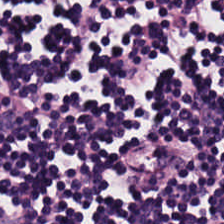H&E-stained tissue section. Finding — lymphocyte aggregate.
